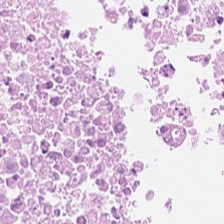Hematoxylin and eosin · 0.5 microns per pixel — Classification = necrotic debris.
